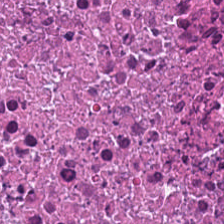Hematoxylin-and-eosin stained section; WSI patch; 224×224 px tile. Classification: cellular debris.
